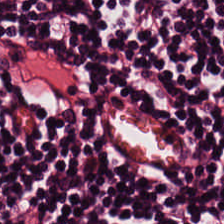Hematoxylin-and-eosin stained section. The predominant tissue is lymphocytes.
